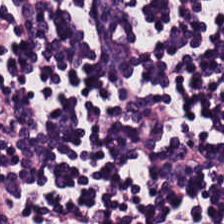H&E.
This field is lymphocytes.
